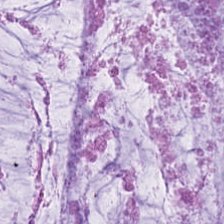H&E-stained tissue section · WSI patch · 0.5 µm/px.
The predominant tissue is extracellular mucin.
